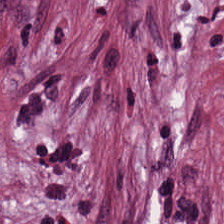Tissue class: desmoplastic stroma.
